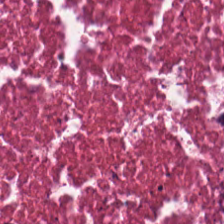Formalin-fixed paraffin-embedded section; hematoxylin and eosin.
Tissue type — debris.
